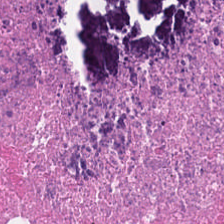Hematoxylin-and-eosin stained section · 0.5 µm per pixel — Necrotic debris.
